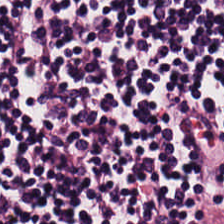Hematoxylin and eosin — The classification is lymphocytic infiltrate.
